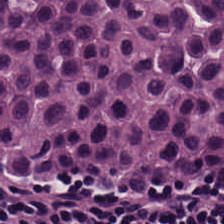H&E-stained tissue section · whole-slide-image patch.
The tissue here is lymphocyte aggregate.
